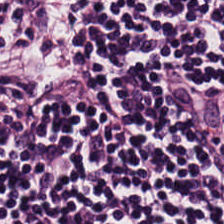H&E. Tissue class = lymphocytes.
